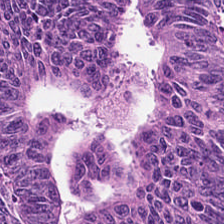FFPE tissue section; H&E. Q: Identify the tissue.
A: This is malignant epithelium.
